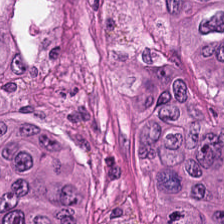H&E · 224×224 px tile — Histology — malignant epithelium.
